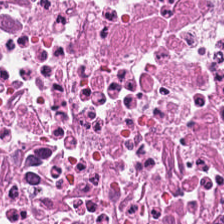Formalin-fixed paraffin-embedded section. WSI patch. H&E-stained tissue section — Q: What tissue is shown?
A: This is cellular debris.
